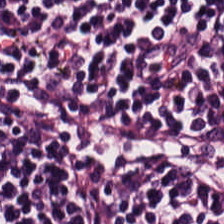H&E — {"tissue_type": "lymphoid infiltrate"}
